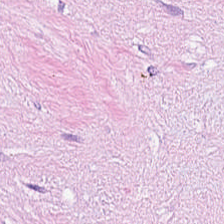0.5 µm/px; H&E. Tissue type: cancer-associated stroma.
